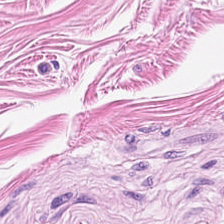Hematoxylin-and-eosin stained section. WSI patch.
This patch shows muscularis.
